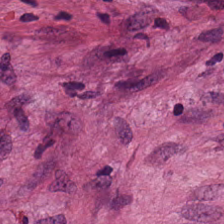H&E — cancer-associated stroma.
